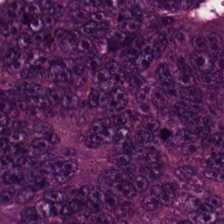H&E-stained section; the field shows adenocarcinoma.
